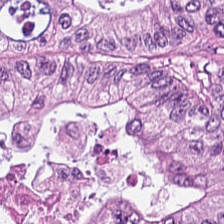Hematoxylin-and-eosin stained section — Showing malignant epithelium.
